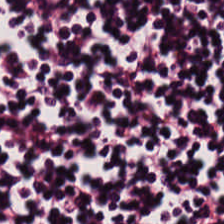H&E-stained tissue section. This field is lymphocytes.
